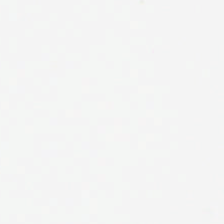Hematoxylin-and-eosin stained section · WSI patch. Field content — background.
